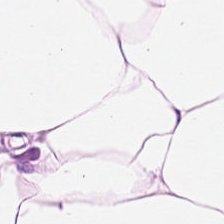Hematoxylin and eosin. This patch shows adipose tissue.
